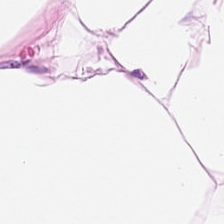Hematoxylin and eosin — The tissue here is adipose.
